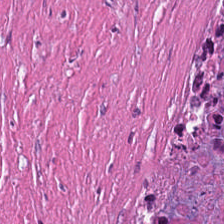Hematoxylin-and-eosin stained section · 224×224 px tile — Tissue = cellular debris.
